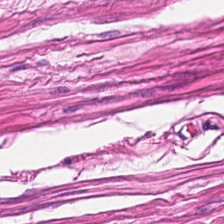Hematoxylin-and-eosin stained section.
This patch shows smooth muscle.
